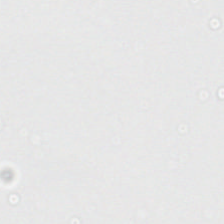Hematoxylin-and-eosin stained section.
Background (no tissue).
